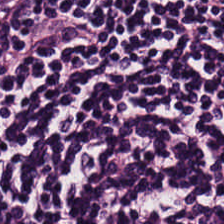Stain: H&E.
Tissue class: lymphocytic infiltrate.
